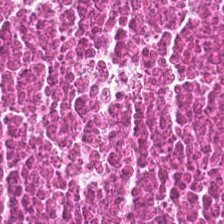Hematoxylin-and-eosin stained section. Cellular debris.
